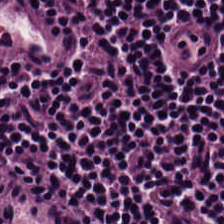FFPE; H&E stain.
The tissue type is lymphoid infiltrate.
